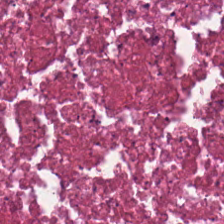Whole-slide-image patch · hematoxylin and eosin.
Impression → debris.
